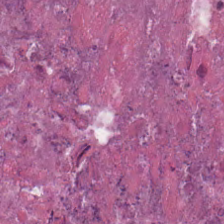Whole-slide-image patch. Hematoxylin and eosin.
Q: What does this patch show?
A: The field shows necrotic debris.
